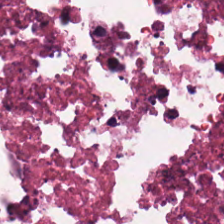Hematoxylin-and-eosin stained section — Impression — necrotic debris.
